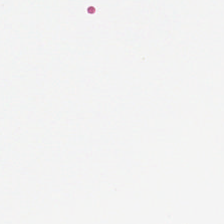Impression — background.
